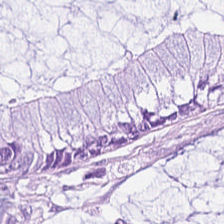Q: Identify the tissue.
A: Mucus.
